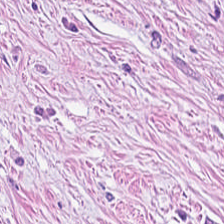Stain: H&E stain.
Preparation: FFPE.
Classification: tumor-associated stroma.
